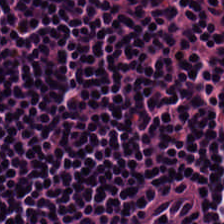H&E stain — Predominantly lymphocytic infiltrate.
